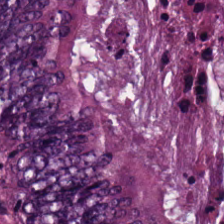Predominantly malignant epithelium.
